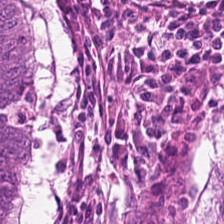Hematoxylin-and-eosin section: tumor epithelium.
